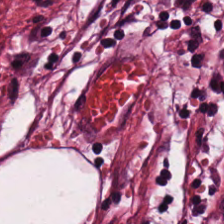H&E-stained section; the field shows tumor stroma.
